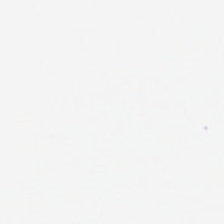H&E. This patch shows background (no tissue).
